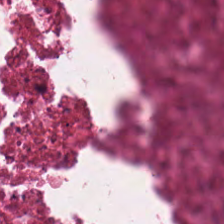Hematoxylin and eosin — This field is necrotic debris.
